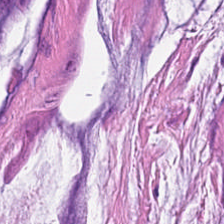H&E stain · 0.5 µm per pixel. Q: What is the predominant tissue type?
A: This is extracellular mucin.
